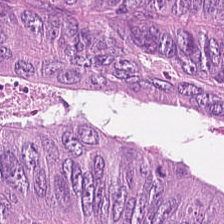H&E-stained tissue section. Q: Classify this patch.
A: Tumor epithelium.
